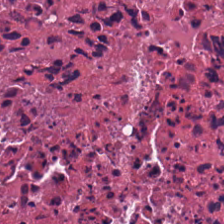H&E.
This patch shows cellular debris.
